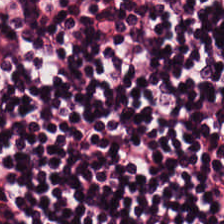FFPE; 224×224 px patch; hematoxylin and eosin. Q: Identify the tissue.
A: The field shows lymphocyte aggregate.
